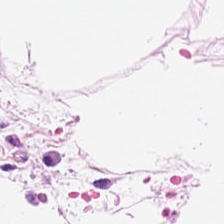Stain: H&E stain.
Tissue class: adipose.
